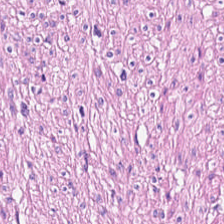Formalin-fixed paraffin-embedded section; H&E stain.
Q: Classify this patch.
A: This is smooth muscle.
